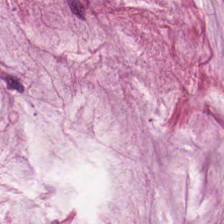Hematoxylin and eosin.
Impression — mucus.
